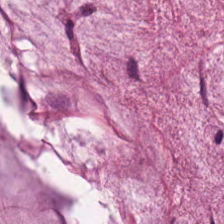H&E. Predominantly mucus.
